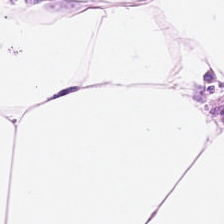Classification — adipose.
